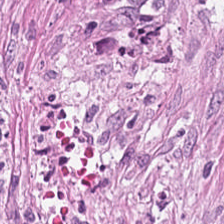{"tissue_type": "tumor stroma"}
